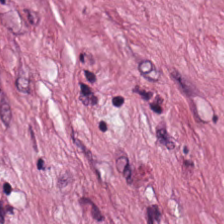H&E stain. This field is tumor stroma.
